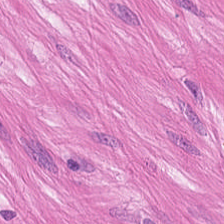Predominantly smooth muscle.
